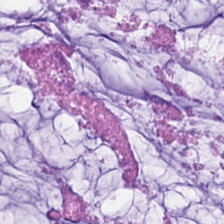Stain: H&E stain.
Acquisition: brightfield microscopy.
Tissue: extracellular mucin.
